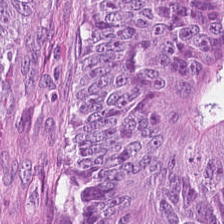Q: What is shown here?
A: This is malignant epithelium.
